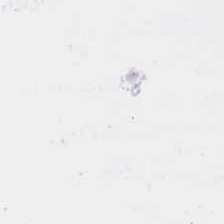Hematoxylin-and-eosin stained section. Whole-slide-image patch. FFPE. Finding → background (no tissue).
